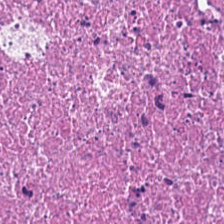H&E.
Q: Identify the tissue.
A: It is debris.
